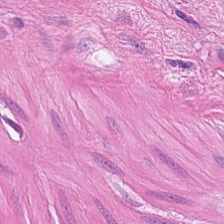Q: What does this patch show?
A: The field shows smooth muscle.
